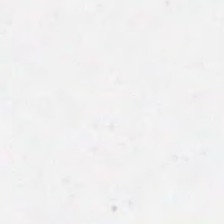This field is background (no tissue).
